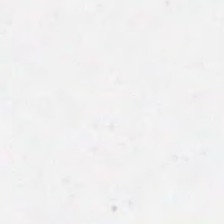This field is background (no tissue).
